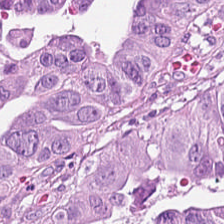0.5 microns per pixel; H&E stain.
Tissue class: tumor epithelium.
